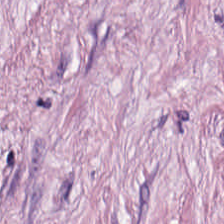Formalin-fixed paraffin-embedded section. H&E stain — Tissue: desmoplastic stroma.
